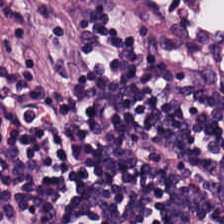H&E-stained tissue section. Lymphoid infiltrate.
